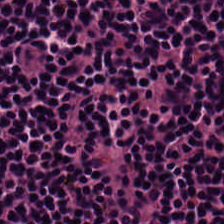Formalin-fixed paraffin-embedded section · hematoxylin-and-eosin stained section. This field is lymphocytes.
